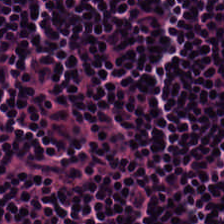Hematoxylin and eosin.
Classification = lymphoid infiltrate.
